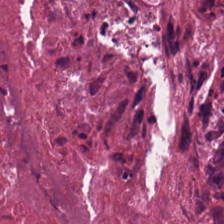H&E stain. Tissue: cellular debris.
